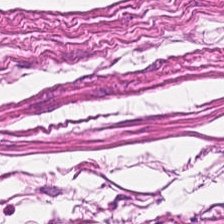Q: What tissue is shown?
A: It is muscularis.
